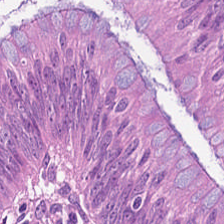Hematoxylin and eosin · WSI patch.
This field is colorectal adenocarcinoma epithelium.
